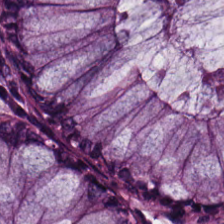H&E stain; brightfield microscopy.
The predominant tissue is normal colonic mucosa.
